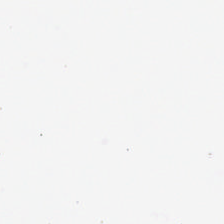Hematoxylin-and-eosin stained section. Q: What does this patch show?
A: It is background (no tissue).
